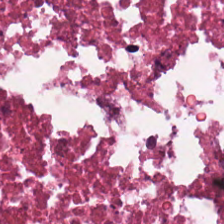0.5 µm/px · hematoxylin and eosin — Impression → debris.
